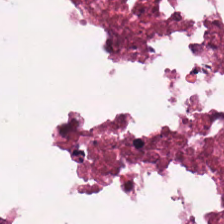Brightfield microscopy · H&E stain · 20× equivalent magnification — The tissue is cellular debris.
